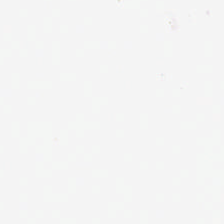0.5 µm per pixel; H&E stain — Finding → background (no tissue).
